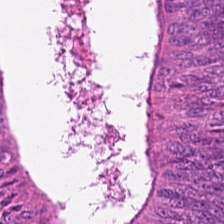Hematoxylin and eosin. Q: What is the predominant tissue type?
A: Adenocarcinoma.
